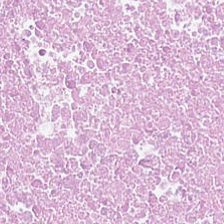Stain: hematoxylin and eosin.
Acquisition: whole-slide-image patch.
Classification: cellular debris.
